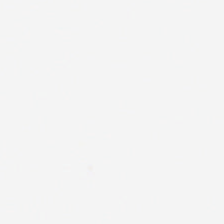H&E-stained tissue section.
Classification — no tissue.
